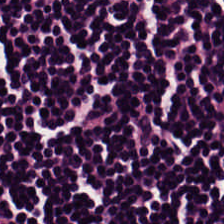Hematoxylin-and-eosin stained section — Tissue type = lymphocyte aggregate.
